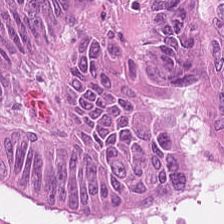Q: What is shown in this field?
A: This is colorectal adenocarcinoma epithelium.
